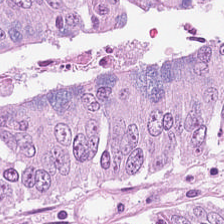Tissue type: adenocarcinoma.
